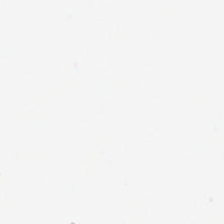Classification — empty background.
